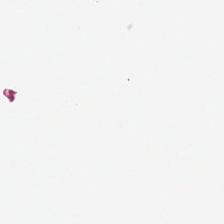Hematoxylin and eosin. This field is background (no tissue).
